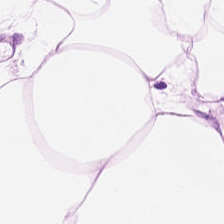H&E-stained tissue section — The predominant tissue is adipocytes.
